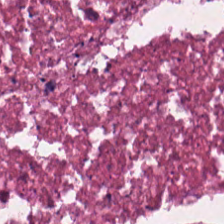Stain: H&E-stained tissue section.
Acquisition: brightfield microscopy.
Tile size: 224×224 px patch.
Classification: debris.
